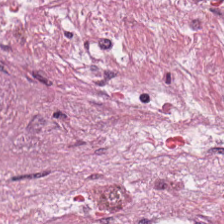Q: What is shown in this field?
A: This is desmoplastic stroma.
